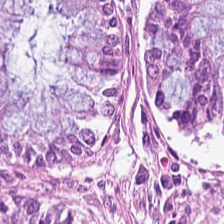Brightfield microscopy; 224×224 px patch; H&E-stained tissue section. The predominant tissue is normal colonic mucosa.
